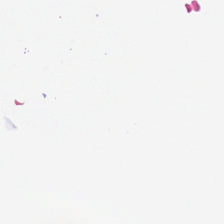H&E stain.
Q: What does this patch show?
A: The field shows no tissue.
